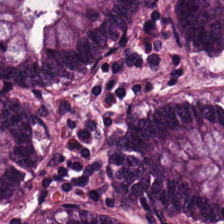Hematoxylin-and-eosin stained section — {"tissue_type": "benign colonic mucosa"}
